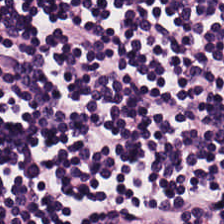Classification: lymphocytes.
